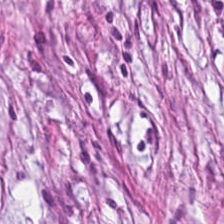Hematoxylin and eosin. This patch shows desmoplastic stroma.
